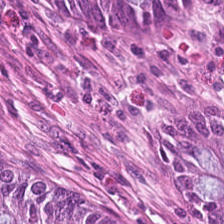Q: What tissue type is shown here?
A: It is normal colonic mucosa.
